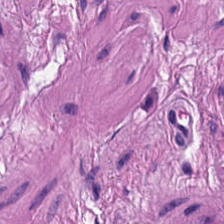Tissue class: smooth muscle.
